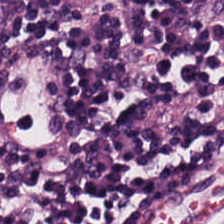WSI patch; hematoxylin-and-eosin stained section. {"tissue_type": "lymphocytic infiltrate"}
